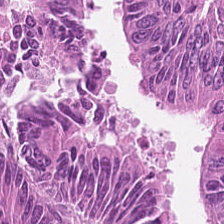Brightfield microscopy; hematoxylin and eosin. {"tissue_type": "colorectal adenocarcinoma epithelium"}
